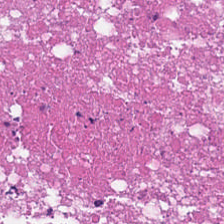Hematoxylin-and-eosin stained section. Q: What is the predominant tissue type?
A: It is cellular debris.
